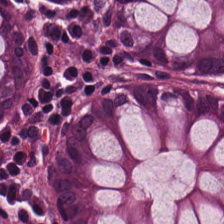H&E; brightfield microscopy.
Predominantly benign colonic mucosa.
